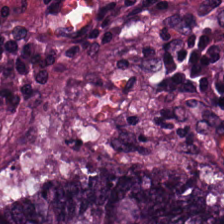The tissue here is colorectal adenocarcinoma epithelium.
